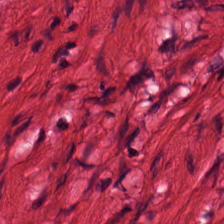Hematoxylin and eosin; 20× equivalent magnification — The classification is muscularis.
